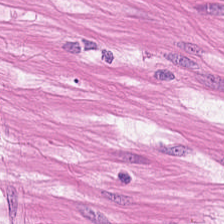The predominant tissue is smooth muscle.
